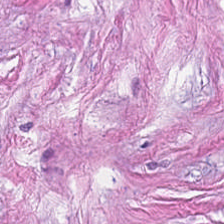Whole-slide-image patch. Formalin-fixed paraffin-embedded section. H&E stain. {"tissue_type": "tumor stroma"}
